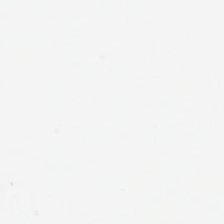H&E-stained tissue section — No tissue.
